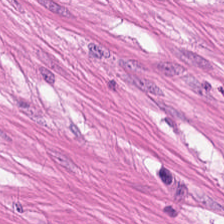0.5 µm per pixel. Hematoxylin-and-eosin stained section. This patch shows muscularis.
